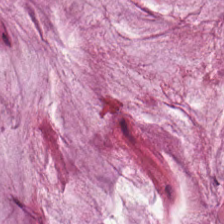FFPE tissue section · H&E-stained tissue section · 0.5 µm per pixel.
Mucus.
